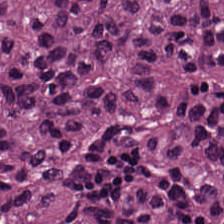Stain: hematoxylin and eosin.
Tissue type: colorectal adenocarcinoma.
